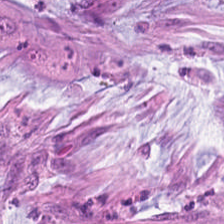Stain: hematoxylin-and-eosin stained section.
Predominant tissue: mucin.
